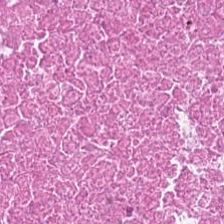Tissue class = cellular debris.
